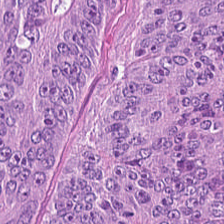Hematoxylin and eosin — The tissue here is colorectal adenocarcinoma epithelium.
